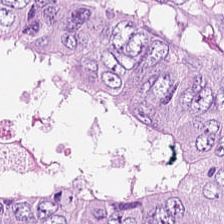Hematoxylin and eosin. Adenocarcinoma.
